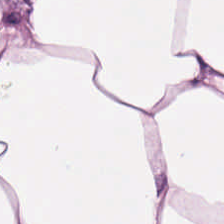H&E stain; FFPE tissue section.
Histology — adipose tissue.
